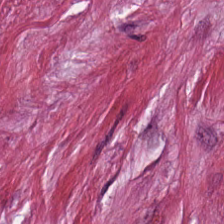Q: What tissue type is shown here?
A: This is tumor stroma.
